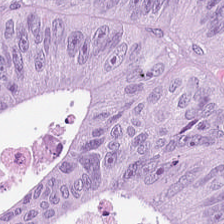Showing tumor epithelium.
